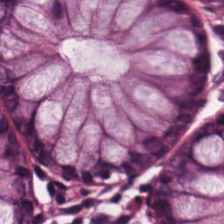H&E.
Tissue class: non-neoplastic colon mucosa.
